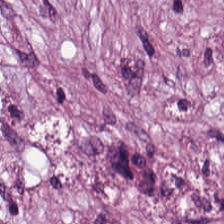The tissue here is tumor stroma.
